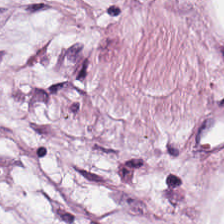H&E-stained tissue section.
Tissue class: adipose.
